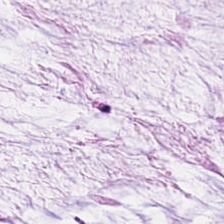Brightfield microscopy; 224×224 pixel tile; H&E stain. Predominant tissue: mucus.
